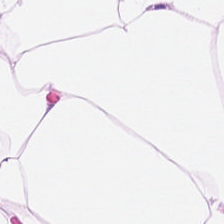Hematoxylin-and-eosin stained section — This field is fat tissue.
